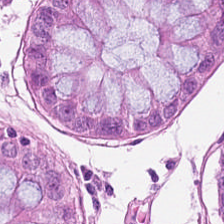H&E-stained tissue section; brightfield microscopy. Benign colonic mucosa.
